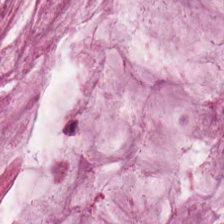H&E-stained tissue section · 224×224 px patch. The predominant tissue is mucin.
